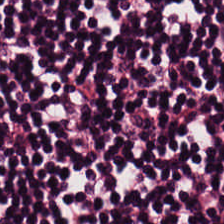Formalin-fixed paraffin-embedded section; 0.5 microns per pixel; H&E stain.
This field is lymphocytic infiltrate.
